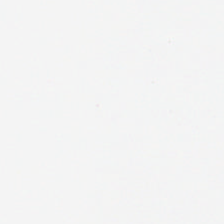Hematoxylin-and-eosin stained section; 224×224 pixel tile. Empty field — background (no tissue).
